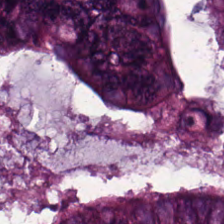H&E.
The predominant tissue is colorectal adenocarcinoma epithelium.
